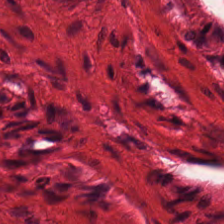Hematoxylin and eosin; FFPE tissue section. Showing smooth muscle.
